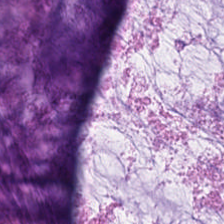FFPE. Hematoxylin-and-eosin stained section — Predominantly extracellular mucin.
